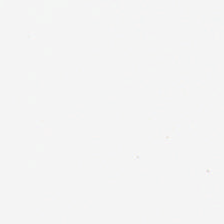H&E — Q: What is shown here?
A: It is empty background.
